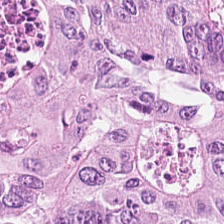224×224 px tile. Hematoxylin and eosin. FFPE — Finding — tumor epithelium.
